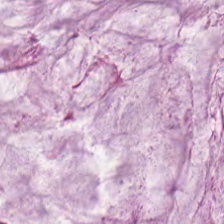H&E stain.
The classification is mucin.
